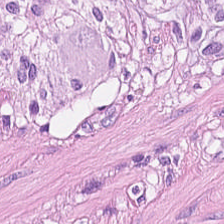0.5 µm per pixel · hematoxylin and eosin. Tissue class — smooth muscle.
